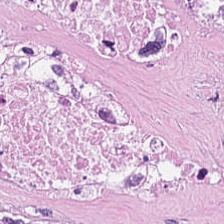H&E · 224×224 px patch. Predominantly debris.
